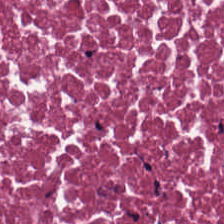H&E stain. Q: What tissue type is shown here?
A: The field shows cellular debris.
